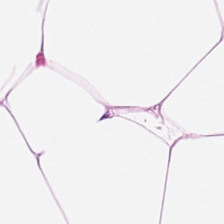H&E stain; brightfield.
Tissue: adipose.
